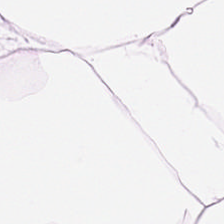Hematoxylin-and-eosin stained section; 0.5 microns per pixel. Q: What is shown here?
A: This is adipocytes.
